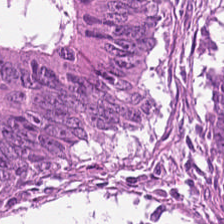Stain: H&E.
Tissue type: tumor epithelium.
